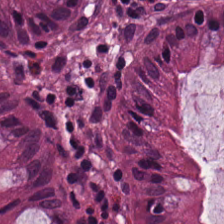Q: What tissue is shown?
A: The field shows normal colon mucosa.
